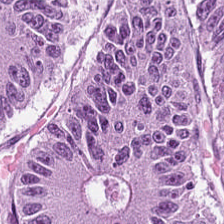Hematoxylin and eosin; 0.5 microns per pixel; formalin-fixed paraffin-embedded section.
Q: What type of tissue is this?
A: This is tumor epithelium.
